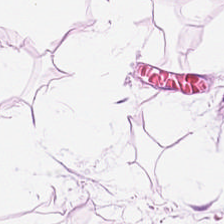The tissue here is adipocytes.
